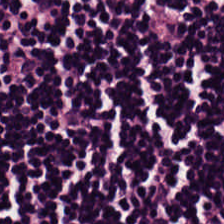H&E-stained tissue section. Predominantly lymphocyte aggregate.
